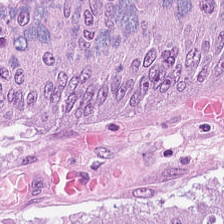224×224 px tile · hematoxylin and eosin. This field is adenocarcinoma.
